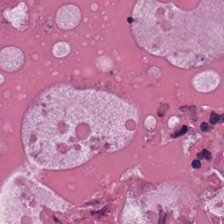Stain: hematoxylin and eosin.
Tissue type: debris.
